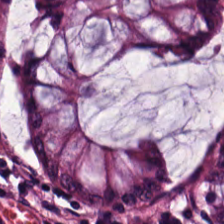This field is benign colonic mucosa.
